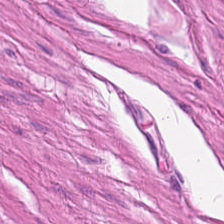Hematoxylin and eosin; formalin-fixed paraffin-embedded section; 0.5 microns per pixel. Tissue class — smooth-muscle tissue.
